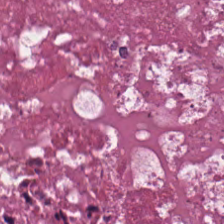H&E-stained tissue section showing debris.
